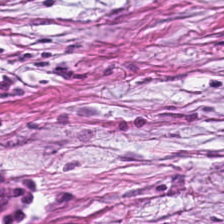The tissue here is tumor-associated stroma.
